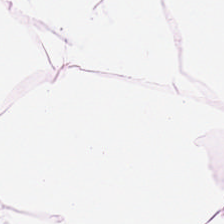Stain: hematoxylin and eosin.
Tissue class: fat tissue.
